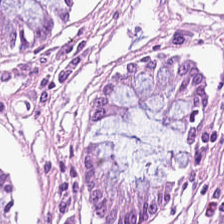Q: What is shown in this field?
A: It is normal colonic mucosa.
